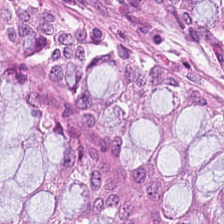Hematoxylin-and-eosin stained section; 224×224 px tile; WSI patch. Histology → normal colon mucosa.
